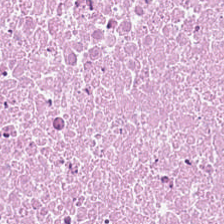FFPE. H&E stain — Q: What is the predominant tissue type?
A: The field shows cellular debris.
